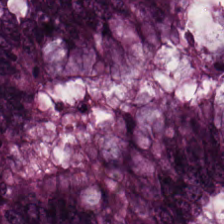Hematoxylin and eosin.
Showing normal colon mucosa.
